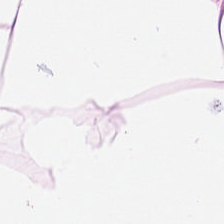H&E.
Predominant tissue — adipose.
